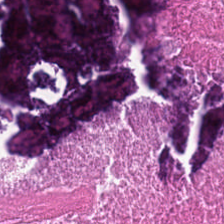H&E-stained tissue section · FFPE — The tissue is cellular debris.
